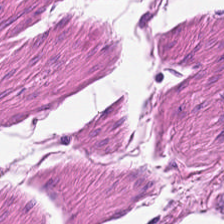Muscularis.
